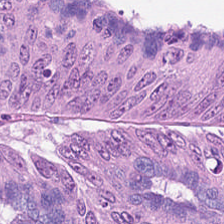Hematoxylin and eosin — Predominantly colorectal adenocarcinoma.
